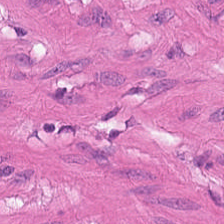H&E.
Q: Identify the tissue.
A: The field shows muscularis.
